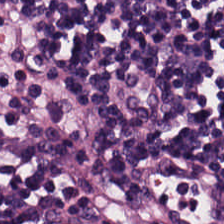H&E-stained tissue section. 0.5 µm per pixel.
Finding → lymphocyte aggregate.
